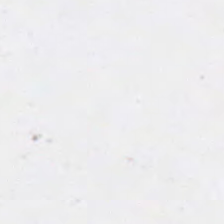Stain: hematoxylin-and-eosin stained section.
Tile size: 224×224 px tile.
Content: background.
